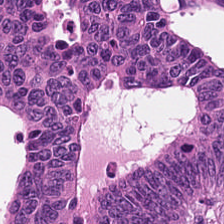Stain: H&E-stained tissue section.
Predominant tissue: colorectal adenocarcinoma epithelium.
